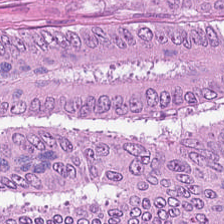Brightfield microscopy. H&E-stained tissue section. 20× equivalent magnification.
This field is colorectal adenocarcinoma.
